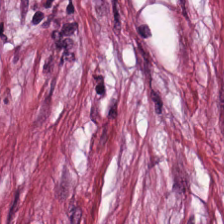H&E-stained tissue section · formalin-fixed paraffin-embedded section. Q: Identify the tissue.
A: It is cancer-associated stroma.
